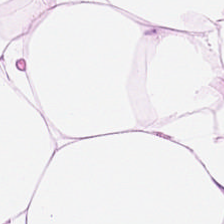224×224 px patch; hematoxylin and eosin; formalin-fixed paraffin-embedded section. The tissue is adipocytes.
